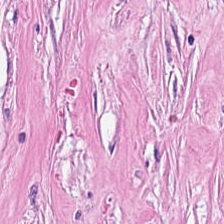Showing tumor stroma.
